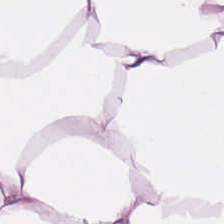Formalin-fixed paraffin-embedded section; H&E-stained tissue section.
Histology → adipose tissue.
